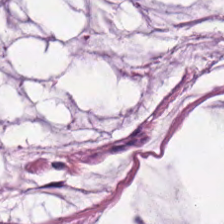Stain: hematoxylin-and-eosin stained section.
Tile size: 224×224 px tile.
Tissue type: mucus.
